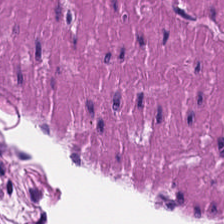Stain: hematoxylin and eosin.
Resolution: 0.5 µm per pixel.
Tile size: 224×224 pixel tile.
Tissue type: smooth muscle.
